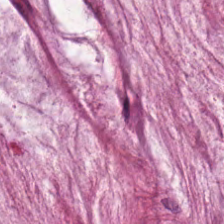Hematoxylin and eosin; whole-slide-image patch; 224×224 pixel tile — The tissue is mucus.
